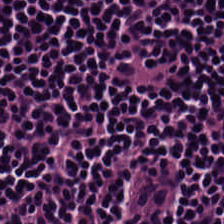H&E-stained tissue section; 224×224 px tile; brightfield.
{"tissue_type": "lymphocyte aggregate"}
